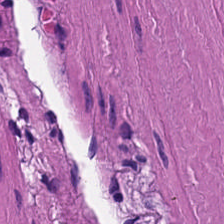224×224 pixel tile. FFPE tissue section. H&E. Tissue type — smooth-muscle tissue.
